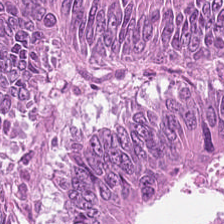H&E stain — Tissue type: malignant epithelium.
